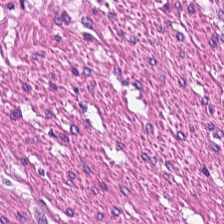H&E stain · 20× equivalent magnification.
{"tissue_type": "muscularis"}
